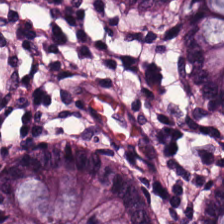Q: What is the predominant tissue type?
A: The field shows benign colonic mucosa.
